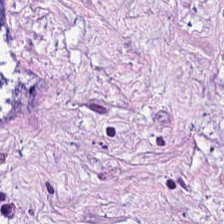H&E-stained tissue section. Brightfield microscopy. Finding → desmoplastic stroma.
